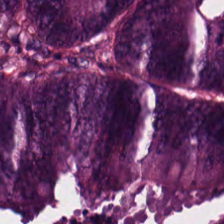Hematoxylin-and-eosin stained section; formalin-fixed paraffin-embedded section; 224×224 pixel tile. Finding — adenocarcinoma.
